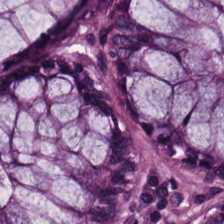H&E-stained tissue section. 224×224 px patch. {"tissue_type": "non-neoplastic colon mucosa"}
